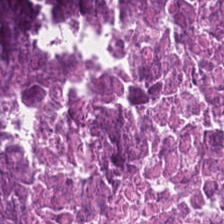Hematoxylin-and-eosin stained section.
Predominantly cellular debris.
